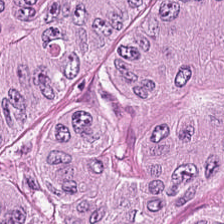H&E. Classification: adenocarcinoma.
